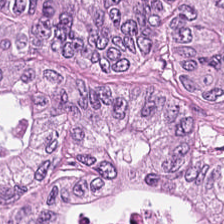224×224 px tile; H&E-stained tissue section.
The tissue is colorectal adenocarcinoma.
